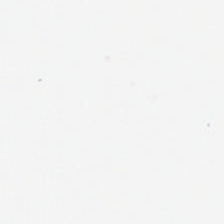H&E stain. Q: What is shown here?
A: This is empty background.
